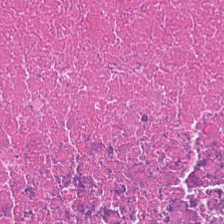H&E-stained tissue section · 0.5 microns per pixel · 224×224 pixel tile. This patch shows necrotic debris.
